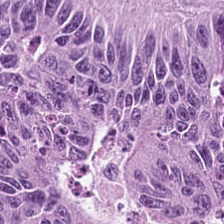H&E stain. Brightfield. Tumor epithelium.
